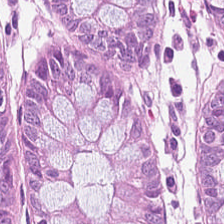H&E stain; 0.5 microns per pixel; 224×224 pixel tile.
Finding — normal colon mucosa.
